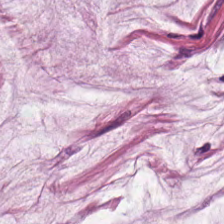H&E-stained tissue section.
Impression → mucus.
